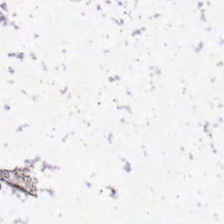Hematoxylin and eosin. Q: What is shown in this field?
A: This is empty background.
